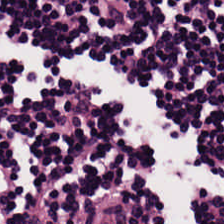H&E — The predominant tissue is lymphocytes.
